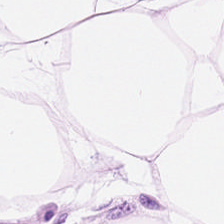0.5 microns per pixel · FFPE tissue section · H&E. The predominant tissue is adipocytes.
